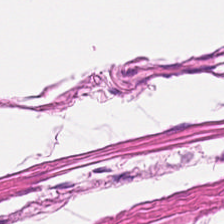H&E-stained tissue section.
Q: What tissue type is shown here?
A: The field shows smooth-muscle tissue.
